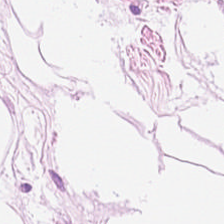224×224 px patch. H&E stain — Q: Classify this patch.
A: This is adipose.
